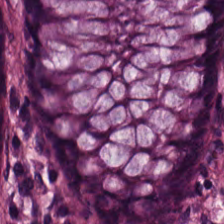Whole-slide-image patch · hematoxylin and eosin · 0.5 microns per pixel. This field is normal colon mucosa.
